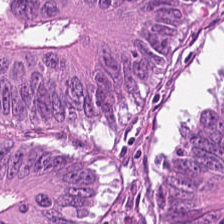Stain: H&E stain.
Tissue: adenocarcinoma.
